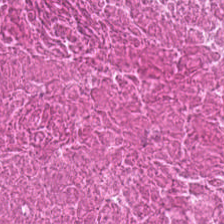H&E stain. Tissue: cellular debris.
